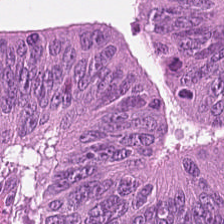Hematoxylin and eosin. Tumor epithelium.
